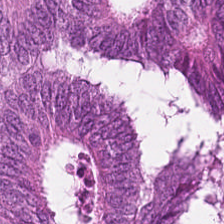224×224 px patch · H&E. Impression → adenocarcinoma.
